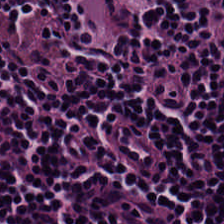Q: What tissue is shown?
A: It is lymphocytic infiltrate.
